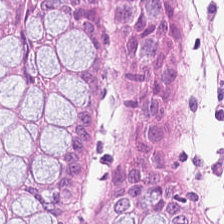Hematoxylin-and-eosin section: benign colonic mucosa.
